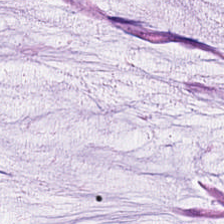Hematoxylin and eosin — Tissue type = extracellular mucin.
